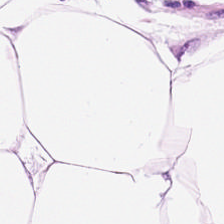Hematoxylin-and-eosin stained section — Adipose tissue.
